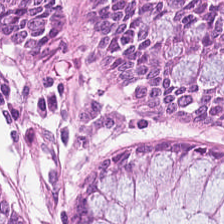224×224 px patch · H&E stain — Q: What tissue is shown?
A: This is non-neoplastic colon mucosa.
